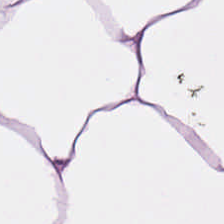Stain: H&E-stained tissue section.
Tissue class: adipose tissue.
